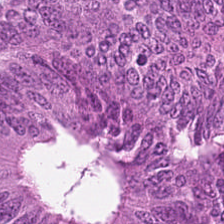Hematoxylin-and-eosin stained section.
Tissue type — tumor epithelium.
